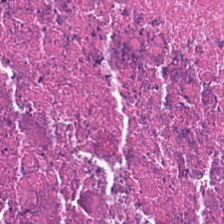Q: What type of tissue is this?
A: This is necrotic debris.
